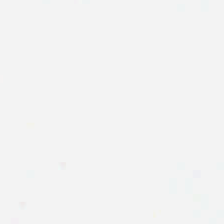Stain: H&E-stained tissue section.
Field content: no tissue.
